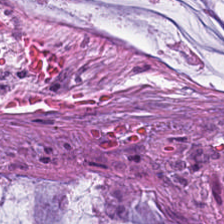H&E; 20× equivalent magnification — Q: What is shown here?
A: Mucin.
